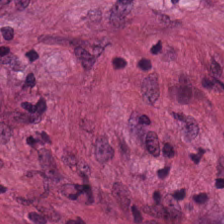Hematoxylin and eosin.
Q: What is the predominant tissue type?
A: It is cancer-associated stroma.
